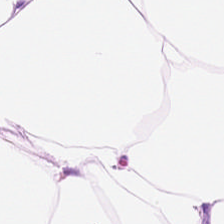Formalin-fixed paraffin-embedded section; 0.5 µm/px; H&E-stained tissue section — The tissue here is adipocytes.
